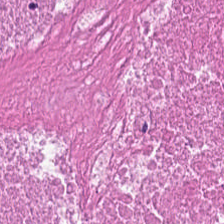Formalin-fixed paraffin-embedded section · WSI patch · hematoxylin and eosin. Q: What tissue type is shown here?
A: The field shows necrotic debris.
